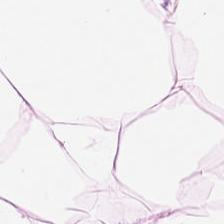Q: Classify this patch.
A: The field shows adipocytes.
